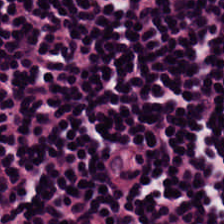Formalin-fixed paraffin-embedded section. H&E-stained tissue section. 224×224 px patch. Tissue: lymphoid infiltrate.
